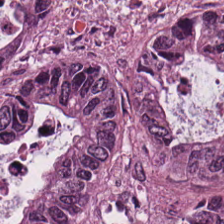Formalin-fixed paraffin-embedded section · hematoxylin-and-eosin stained section.
Q: Classify this patch.
A: Colorectal adenocarcinoma.
